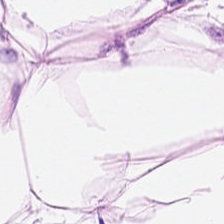Stain: hematoxylin and eosin.
Predominant tissue: adipose tissue.
